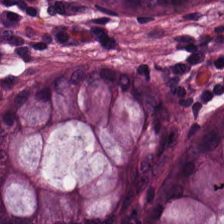The tissue type is normal colonic mucosa.
